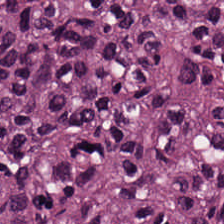Hematoxylin-and-eosin stained section.
{"tissue_type": "adenocarcinoma"}
